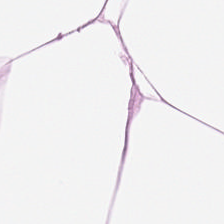20× equivalent magnification. H&E — Finding — fat tissue.
